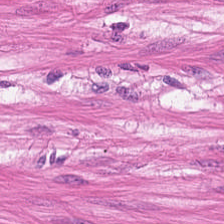H&E-stained tissue section; whole-slide-image patch; 224×224 px patch. Histology — muscularis.
